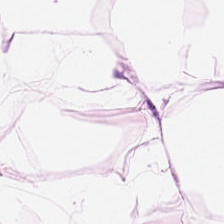H&E-stained tissue section showing adipose.
